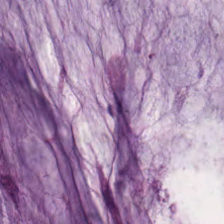H&E-stained section; the field shows mucin.
